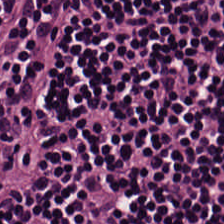Finding — lymphocytic infiltrate.
